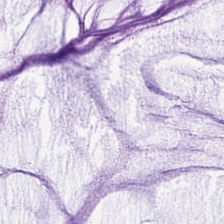H&E. Tissue = mucin.
